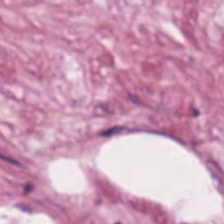Hematoxylin-and-eosin stained section — Finding — cancer-associated stroma.
